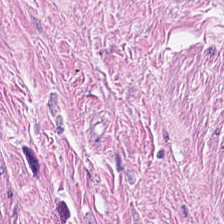H&E.
Q: What tissue type is shown here?
A: This is smooth-muscle tissue.
